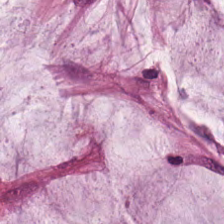Hematoxylin-and-eosin stained section; FFPE; 224×224 px tile.
Tissue class = extracellular mucin.
